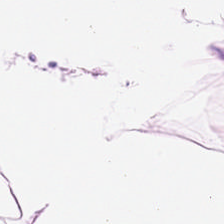H&E; FFPE tissue section; 224×224 px patch. Classification = adipocytes.
